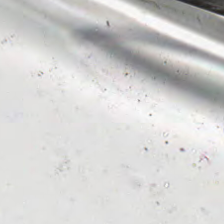Brightfield · H&E — This patch shows background (no tissue).
